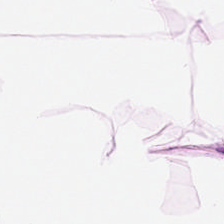WSI patch; formalin-fixed paraffin-embedded section; hematoxylin and eosin. Tissue type: adipose.
